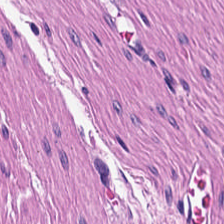FFPE; hematoxylin-and-eosin stained section — Finding — smooth-muscle tissue.
